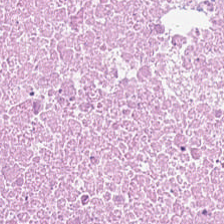Tissue class — debris.
